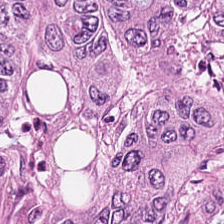H&E-stained tissue section — Tissue class = colorectal adenocarcinoma epithelium.
